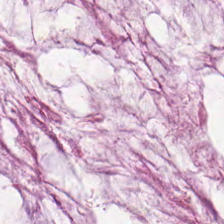20× equivalent magnification; hematoxylin and eosin — {"tissue_type": "mucin"}
